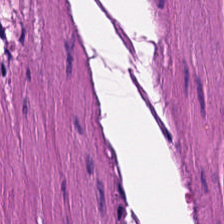0.5 µm/px · 224×224 pixel tile · H&E — The classification is smooth muscle.
